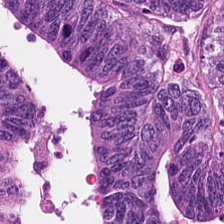Hematoxylin-and-eosin stained section; FFPE. The tissue type is adenocarcinoma.
